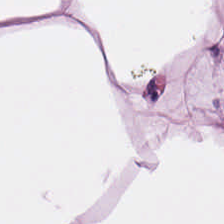0.5 µm/px. Hematoxylin-and-eosin stained section.
The tissue type is fat tissue.
